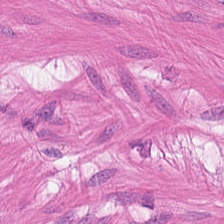20× equivalent magnification; formalin-fixed paraffin-embedded section; H&E stain — Q: What is shown in this field?
A: Smooth muscle.
